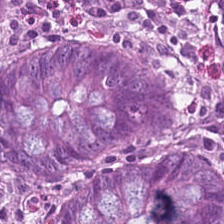Hematoxylin and eosin — The tissue type is non-neoplastic colon mucosa.
